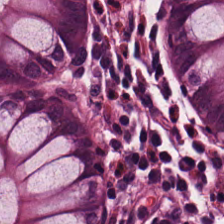H&E stain.
This field is normal colonic mucosa.
